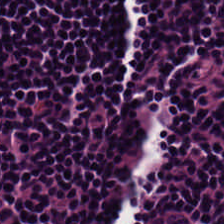Hematoxylin and eosin. FFPE tissue section — Q: What is the predominant tissue type?
A: It is lymphocyte aggregate.
